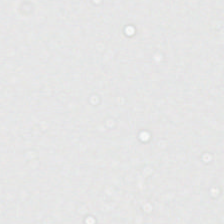Q: Classify this patch.
A: Empty background.
